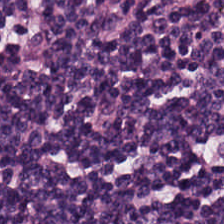Q: What tissue is shown?
A: The field shows lymphocyte aggregate.
